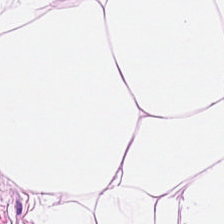Q: What tissue is shown?
A: Adipocytes.
